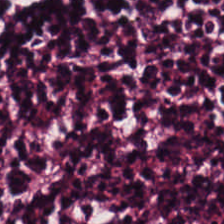Stain: hematoxylin-and-eosin stained section.
Tissue class: lymphocytic infiltrate.
